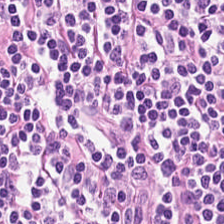Stain: H&E-stained tissue section.
Tissue class: lymphoid infiltrate.
